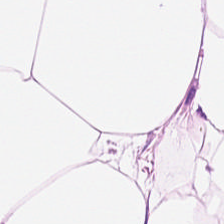20× equivalent magnification. Hematoxylin and eosin.
Predominantly adipose tissue.
